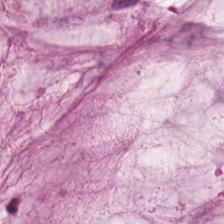Brightfield microscopy. Hematoxylin and eosin. The tissue is extracellular mucin.
